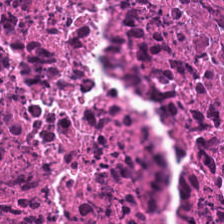Hematoxylin-and-eosin stained section — Predominantly necrotic debris.
